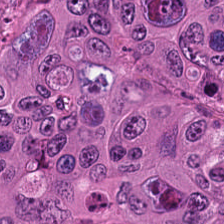224×224 pixel tile. Whole-slide-image patch. H&E-stained tissue section — Q: What is shown in this field?
A: It is colorectal adenocarcinoma epithelium.
